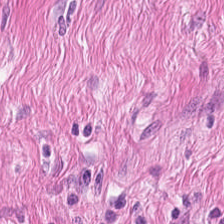Hematoxylin and eosin.
Tissue — muscularis.
